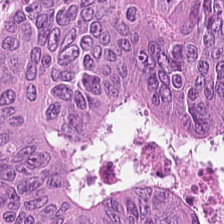Hematoxylin and eosin.
Q: What does this patch show?
A: Adenocarcinoma.
